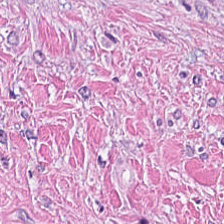Stain: H&E.
Predominant tissue: cancer-associated stroma.
